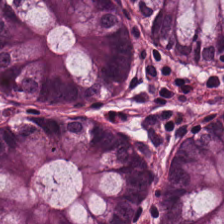Hematoxylin and eosin — Predominant tissue = normal colon mucosa.
